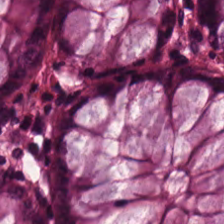H&E.
This patch shows non-neoplastic colon mucosa.
